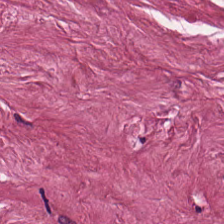H&E stain. Finding → tumor-associated stroma.
